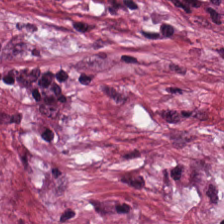Brightfield microscopy. 20× equivalent magnification. H&E. Q: What tissue is shown?
A: The field shows tumor-associated stroma.
